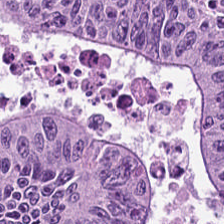H&E stain; brightfield.
Classification = colorectal adenocarcinoma epithelium.
